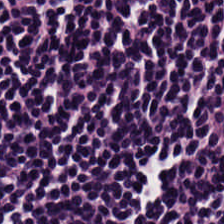0.5 µm per pixel · hematoxylin and eosin.
Q: Classify this patch.
A: The field shows lymphoid infiltrate.
